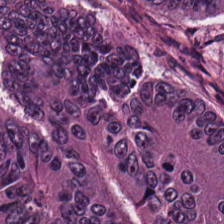The predominant tissue is colorectal adenocarcinoma epithelium.
